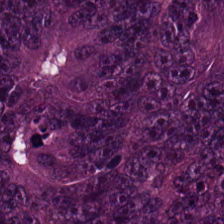Stain: H&E-stained tissue section.
Resolution: 0.5 µm/px.
Acquisition: brightfield microscopy.
Predominant tissue: colorectal adenocarcinoma.
